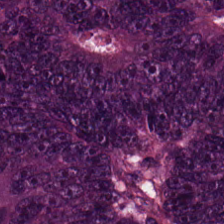Hematoxylin-and-eosin stained section · 224×224 px tile.
This field is malignant epithelium.
